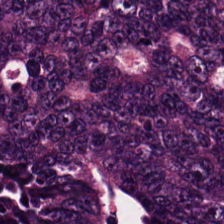H&E stain.
Predominantly colorectal adenocarcinoma epithelium.
